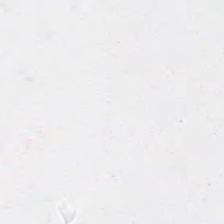224×224 pixel tile · H&E. Q: What is shown here?
A: This is no tissue.
